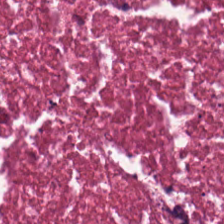The tissue type is debris.
